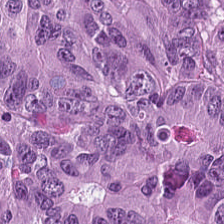WSI patch. Hematoxylin and eosin — Q: What is the predominant tissue type?
A: The field shows malignant epithelium.
